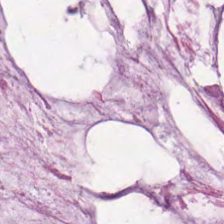Hematoxylin and eosin — Q: What is shown here?
A: It is mucus.
